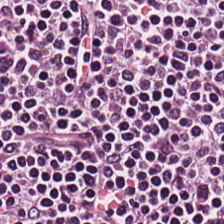H&E; formalin-fixed paraffin-embedded section; brightfield microscopy.
The tissue here is lymphoid infiltrate.
